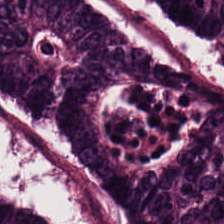H&E stain · 0.5 µm per pixel.
The predominant tissue is malignant epithelium.
